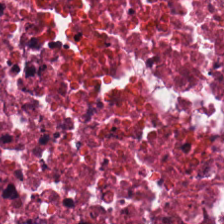H&E-stained tissue section.
Q: What does this patch show?
A: Debris.
